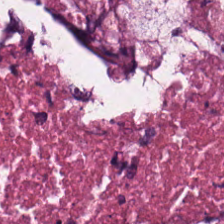H&E. Tissue type: cellular debris.
